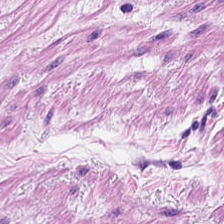Tissue type: muscularis.
